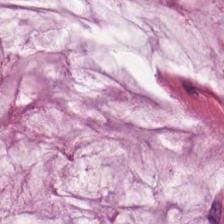H&E-stained tissue section · brightfield.
Tissue = mucin.
